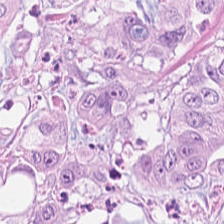Stain: hematoxylin and eosin.
Preparation: FFPE tissue section.
Acquisition: whole-slide-image patch.
Classification: adenocarcinoma.
